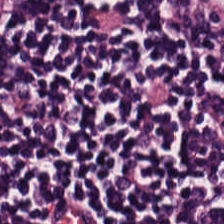0.5 µm/px. H&E stain. 224×224 px tile. Q: Identify the tissue.
A: It is lymphocyte aggregate.
